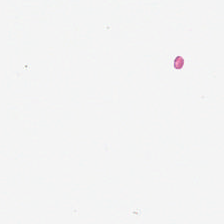H&E stain.
Q: What is shown in this field?
A: Background (no tissue).
